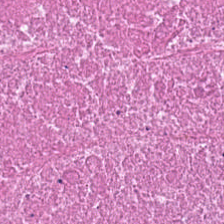Brightfield · hematoxylin-and-eosin stained section — The predominant tissue is debris.
